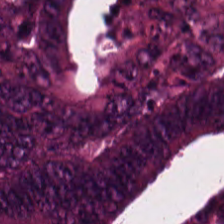H&E. The tissue here is malignant epithelium.
